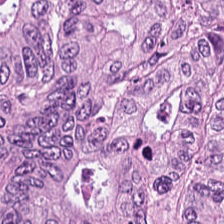WSI patch. Hematoxylin and eosin. The predominant tissue is malignant epithelium.
